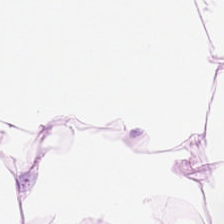H&E stain · whole-slide-image patch. Q: What tissue is shown?
A: It is adipose tissue.
